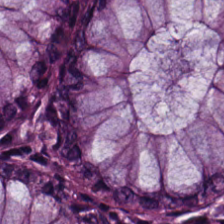0.5 µm/px; brightfield; H&E-stained tissue section — Q: What tissue type is shown here?
A: Benign colonic mucosa.
